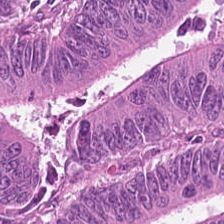Q: What type of tissue is this?
A: This is tumor epithelium.
